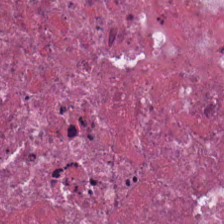H&E — debris.
